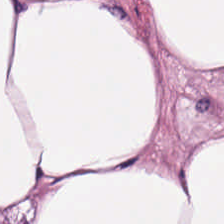Hematoxylin-and-eosin stained section — Showing adipose.
